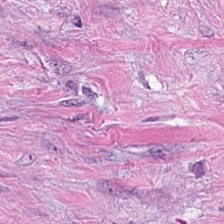Q: What tissue is shown?
A: Cancer-associated stroma.
